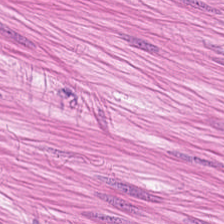H&E-stained tissue section.
Q: What is shown here?
A: This is muscularis.
